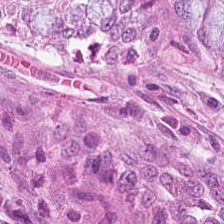Q: Classify this patch.
A: Non-neoplastic colon mucosa.
